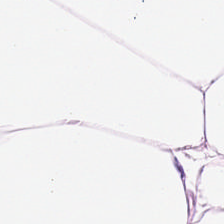Stain: hematoxylin and eosin.
Predominant tissue: adipose tissue.
